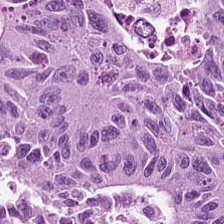Hematoxylin and eosin.
Q: What does this patch show?
A: The field shows colorectal adenocarcinoma epithelium.
